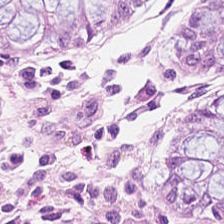H&E stain — Normal colon mucosa.
